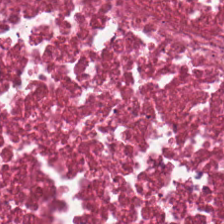H&E — Cellular debris.
